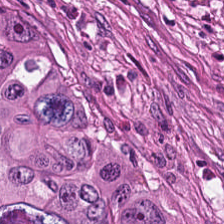224×224 pixel tile · H&E-stained tissue section · FFPE tissue section.
Classification = malignant epithelium.
